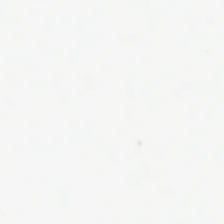FFPE; hematoxylin-and-eosin stained section; 224×224 pixel tile.
Background — no tissue in this field.
